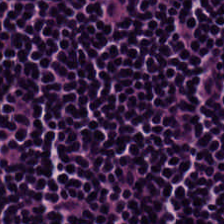Hematoxylin-and-eosin stained section.
This field is lymphoid infiltrate.
